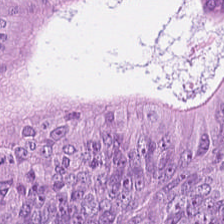H&E-stained tissue section. Predominant tissue — colorectal adenocarcinoma.
